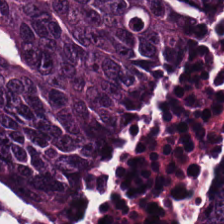Stain: H&E.
Predominant tissue: tumor epithelium.
